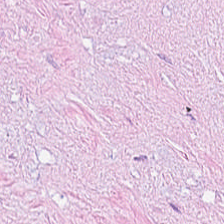This field is desmoplastic stroma.
